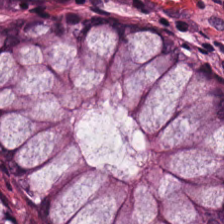FFPE. Hematoxylin-and-eosin stained section.
Tissue: benign colonic mucosa.
